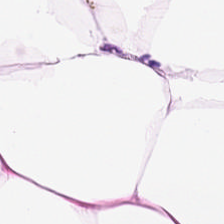The predominant tissue is adipocytes.
